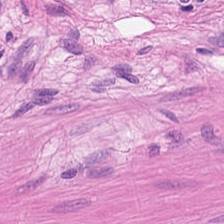H&E stain · brightfield.
Tissue type — smooth muscle.
